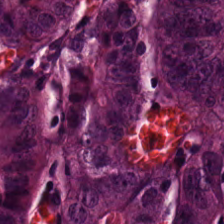Tissue: adenocarcinoma.
